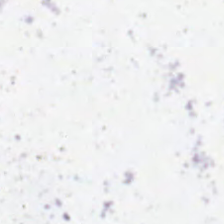Stain: hematoxylin and eosin.
Content: background (no tissue).
